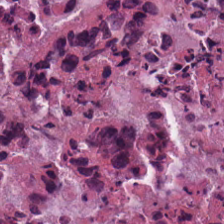{"tissue_type": "debris"}
